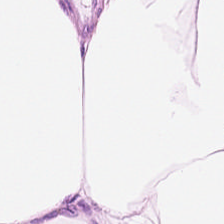FFPE tissue section; hematoxylin and eosin — Finding — adipose tissue.
